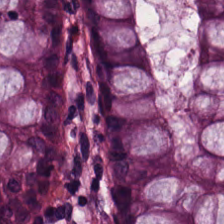Hematoxylin-and-eosin stained section.
Impression → normal colon mucosa.
